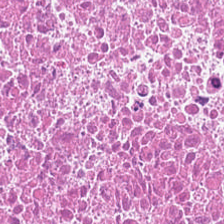0.5 microns per pixel; H&E stain — The tissue is necrotic debris.
